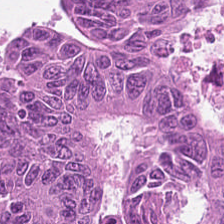WSI patch. Hematoxylin and eosin — Impression → adenocarcinoma.
